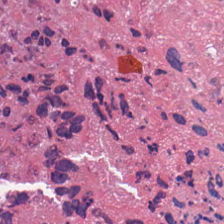Hematoxylin-and-eosin stained section; 224×224 pixel tile.
Cellular debris.
